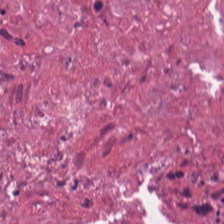Predominant tissue: necrotic debris.
